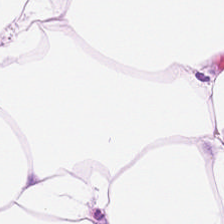H&E-stained tissue section; 224×224 pixel tile — Impression — adipose tissue.
